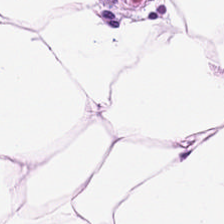FFPE tissue section; 0.5 µm per pixel; H&E-stained tissue section. Classification — adipocytes.
